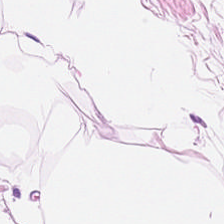224×224 pixel tile · H&E-stained tissue section · 0.5 microns per pixel — This patch shows adipose tissue.
